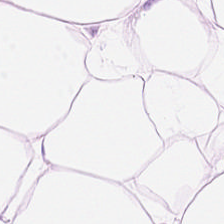20× equivalent magnification. H&E stain.
Q: What is the predominant tissue type?
A: It is adipose tissue.
